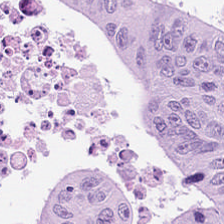Stain: hematoxylin-and-eosin stained section.
Tile size: 224×224 px tile.
Resolution: 0.5 microns per pixel.
Tissue: tumor epithelium.
